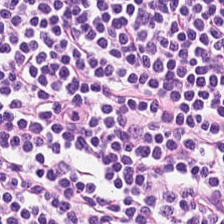FFPE tissue section. H&E stain. {"tissue_type": "lymphocytic infiltrate"}
